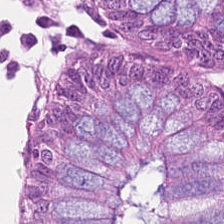Stain: H&E-stained tissue section.
Tile size: 224×224 pixel tile.
Predominant tissue: normal colonic mucosa.
